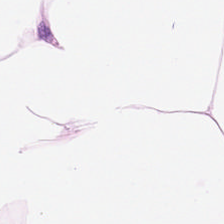H&E-stained tissue section. Predominantly adipocytes.
